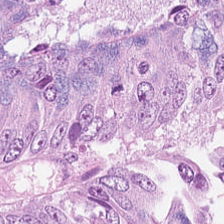Brightfield. Hematoxylin and eosin. 224×224 px tile. Showing tumor epithelium.
